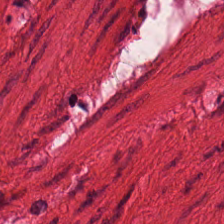Tissue = smooth-muscle tissue.
